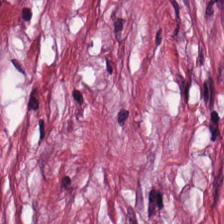H&E-stained tissue section — Classification = desmoplastic stroma.
